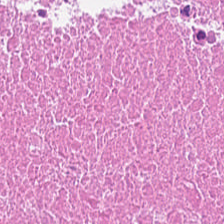H&E.
Tissue type = debris.
